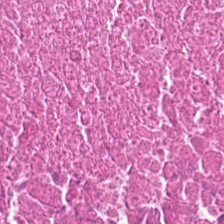Stain: H&E.
Resolution: 20× equivalent magnification.
Classification: cellular debris.
